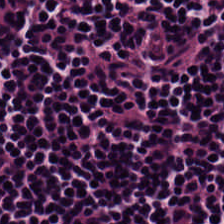Hematoxylin-and-eosin stained section · FFPE tissue section — Q: Classify this patch.
A: Lymphoid infiltrate.
